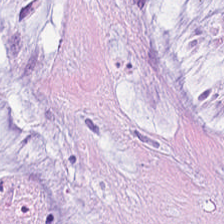Stain: H&E-stained tissue section.
Classification: mucus.
